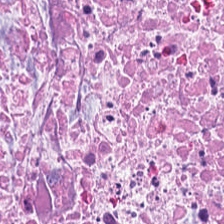Stain: H&E stain.
Tissue type: necrotic debris.
